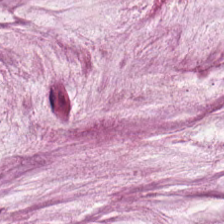Hematoxylin and eosin.
The tissue here is extracellular mucin.
